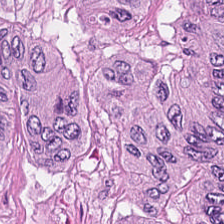Q: What does this patch show?
A: It is malignant epithelium.
